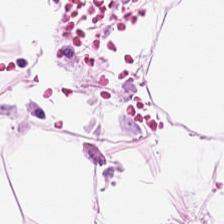Stain: H&E.
Tissue type: adipocytes.
